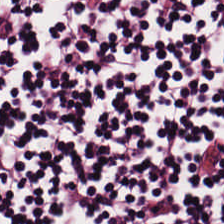H&E. Predominant tissue = lymphoid infiltrate.
